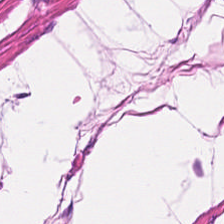H&E — {"tissue_type": "smooth-muscle tissue"}
